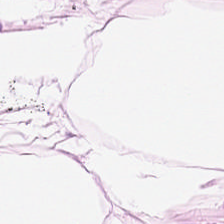Hematoxylin and eosin.
{"tissue_type": "adipocytes"}
